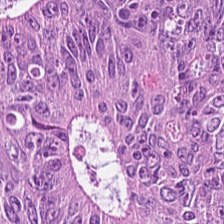Q: What does this patch show?
A: It is tumor epithelium.
